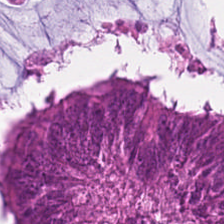0.5 µm/px; hematoxylin-and-eosin stained section; 224×224 pixel tile.
Histology — adenocarcinoma.
